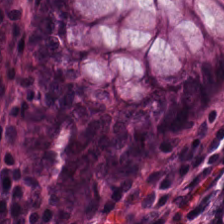Hematoxylin-and-eosin section: benign colonic mucosa.
